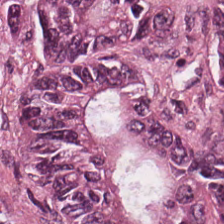Hematoxylin and eosin; formalin-fixed paraffin-embedded section. {"tissue_type": "malignant epithelium"}
